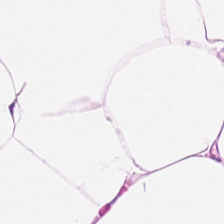Stain: hematoxylin and eosin.
Predominant tissue: adipocytes.
